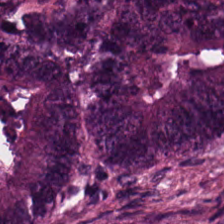Predominant tissue: colorectal adenocarcinoma.
